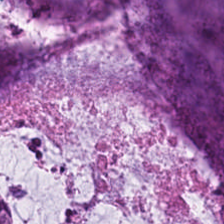H&E-stained tissue section — Q: Identify the tissue.
A: The field shows extracellular mucin.
